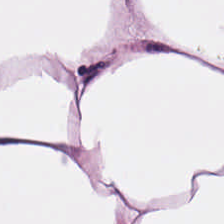Q: What is the predominant tissue type?
A: The field shows adipocytes.
